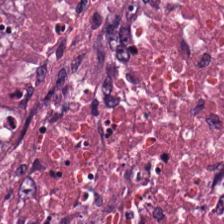20× equivalent magnification · 224×224 pixel tile · H&E-stained tissue section. {"tissue_type": "cellular debris"}
